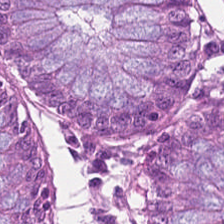H&E — benign colonic mucosa.
